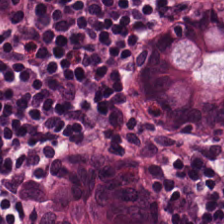0.5 microns per pixel; hematoxylin and eosin — Tissue class: non-neoplastic colon mucosa.
